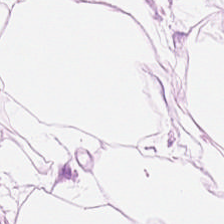Whole-slide-image patch. FFPE. H&E — Q: What is the predominant tissue type?
A: The field shows adipose.
